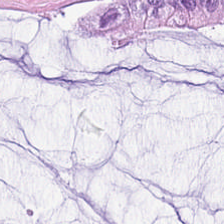Hematoxylin-and-eosin stained section.
Tissue — mucus.
